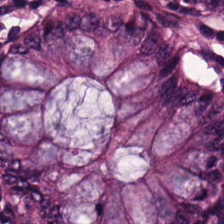Brightfield · H&E.
Impression → benign colonic mucosa.
